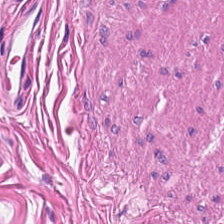Hematoxylin and eosin — Showing smooth-muscle tissue.
